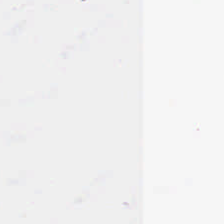H&E stain.
Empty field — no tissue.
